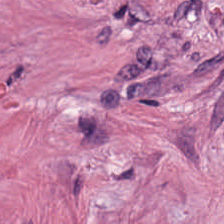Hematoxylin-and-eosin stained section · FFPE tissue section.
Tissue type: tumor stroma.
